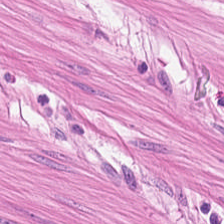Tissue type = muscularis.
